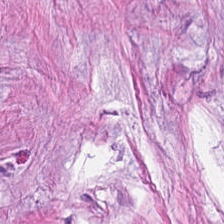0.5 microns per pixel. Hematoxylin and eosin — Finding → tumor-associated stroma.
